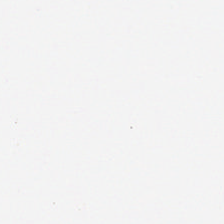H&E-stained tissue section.
This patch shows empty background.
